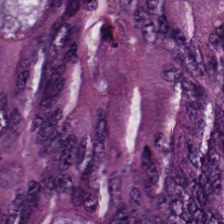Hematoxylin and eosin — Q: What is shown here?
A: Malignant epithelium.
